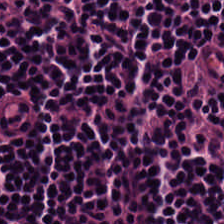Hematoxylin-and-eosin stained section.
Q: What does this patch show?
A: Lymphoid infiltrate.
